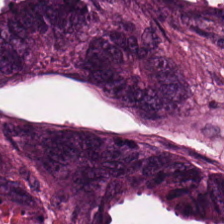H&E. Whole-slide-image patch — The predominant tissue is colorectal adenocarcinoma.
